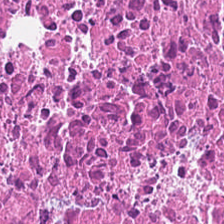0.5 µm per pixel. Hematoxylin-and-eosin stained section. Debris.
